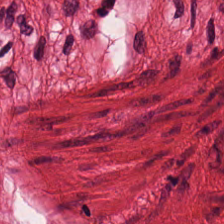Tissue = smooth-muscle tissue.
